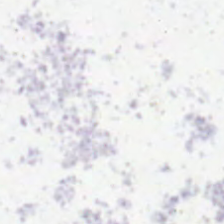Empty background.
